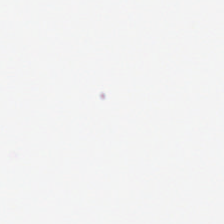H&E — This patch shows no tissue.
